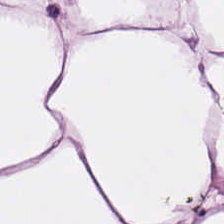Hematoxylin-and-eosin stained section; brightfield microscopy. The tissue type is fat tissue.
